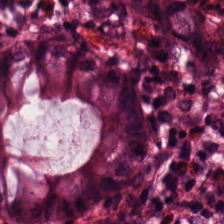Q: What tissue is shown?
A: It is benign colonic mucosa.
